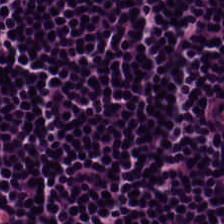Q: What is shown in this field?
A: This is lymphocyte aggregate.
